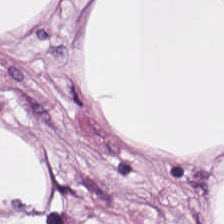20× equivalent magnification · hematoxylin and eosin · 224×224 px patch — Predominant tissue = adipocytes.
